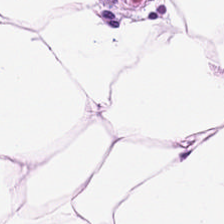This patch shows fat tissue.
